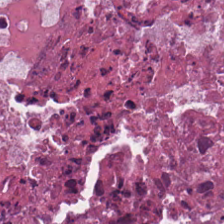0.5 µm/px; brightfield microscopy; hematoxylin-and-eosin stained section. Tissue: necrotic debris.
